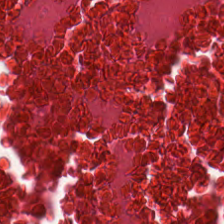H&E. Showing debris.
